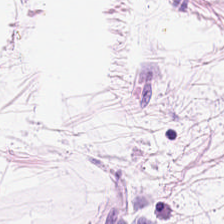Hematoxylin and eosin. This patch shows adipose tissue.
